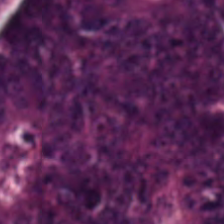Hematoxylin and eosin. The tissue type is malignant epithelium.
